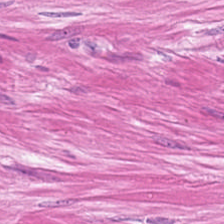H&E — This field is muscularis.
